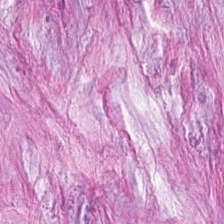Hematoxylin and eosin; FFPE tissue section.
Tissue class = desmoplastic stroma.
